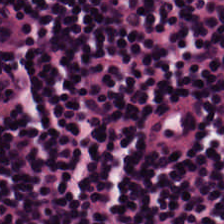H&E. Impression — lymphoid infiltrate.
